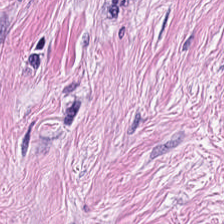Hematoxylin and eosin. The tissue here is desmoplastic stroma.
